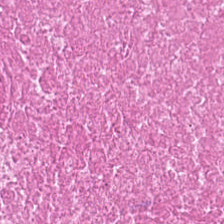224×224 pixel tile; hematoxylin and eosin; whole-slide-image patch. Predominant tissue = necrotic debris.
